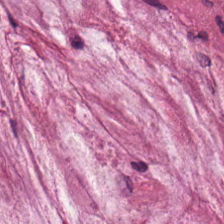Hematoxylin and eosin; 224×224 px tile; formalin-fixed paraffin-embedded section. This field is extracellular mucin.
